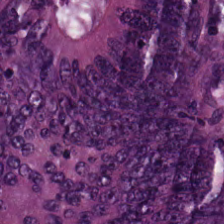H&E-stained tissue section. Brightfield — This field is adenocarcinoma.
